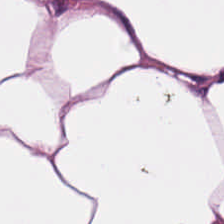Stain: hematoxylin and eosin.
Tissue class: adipose.
